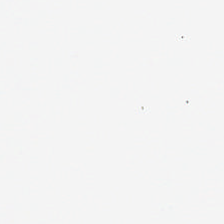H&E-stained tissue section. Empty field — background (no tissue).
